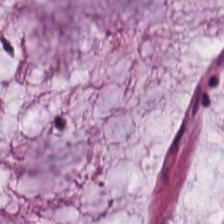Q: What does this patch show?
A: The field shows extracellular mucin.
